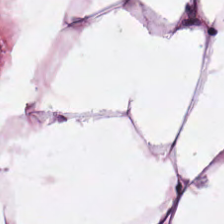Hematoxylin-and-eosin stained section — This patch shows adipose tissue.
